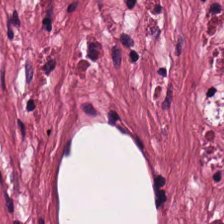Hematoxylin-and-eosin stained section.
Tissue type = cancer-associated stroma.
